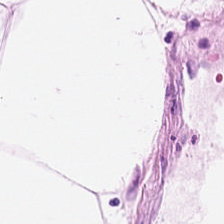H&E-stained section; the field shows adipose.
